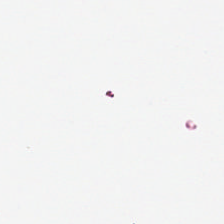0.5 µm per pixel · hematoxylin-and-eosin stained section.
Histology → background (no tissue).
